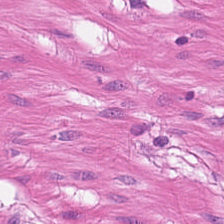Showing smooth muscle.
